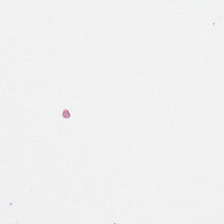H&E — Empty field — background (no tissue).
